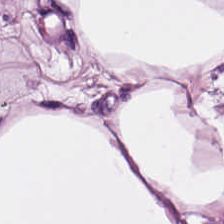H&E-stained tissue section.
This field is fat tissue.
